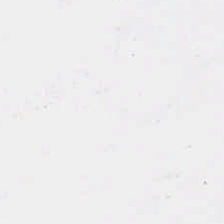FFPE · hematoxylin-and-eosin stained section. This patch shows empty background.
